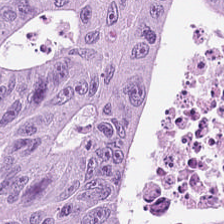The predominant tissue is colorectal adenocarcinoma.
